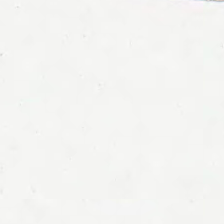Hematoxylin and eosin.
Q: What is shown here?
A: It is no tissue.
